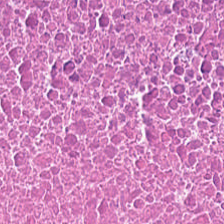224×224 pixel tile; 0.5 µm per pixel; H&E stain — Tissue type: necrotic debris.
